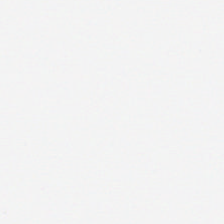Formalin-fixed paraffin-embedded section; H&E stain — Q: Classify this patch.
A: The field shows background.
